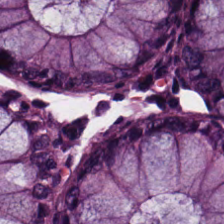The predominant tissue is benign colonic mucosa.
